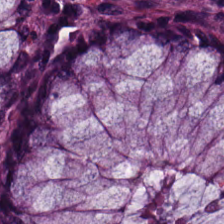Hematoxylin and eosin. 0.5 µm per pixel. Classification — benign colonic mucosa.
